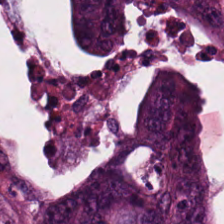Tissue = colorectal adenocarcinoma.
